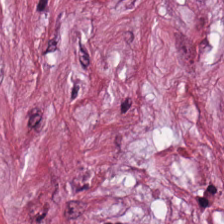Hematoxylin and eosin.
Tissue type = tumor stroma.
